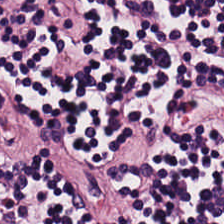H&E stain. Predominant tissue — lymphocytes.
